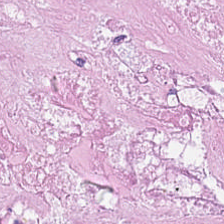Stain: hematoxylin-and-eosin stained section.
Predominant tissue: cellular debris.
